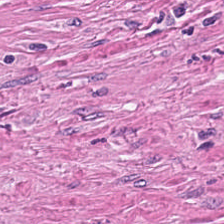Hematoxylin-and-eosin stained section. The classification is tumor stroma.
